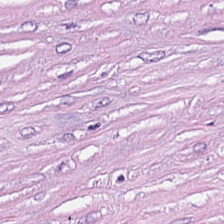Showing cancer-associated stroma.
